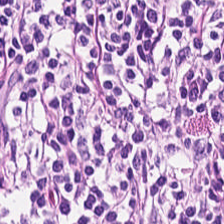0.5 microns per pixel; 224×224 pixel tile; hematoxylin and eosin — The tissue class is lymphocytic infiltrate.
